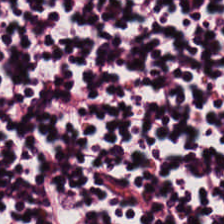H&E-stained tissue section. Impression → lymphocyte aggregate.
